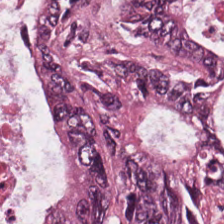Formalin-fixed paraffin-embedded section; 224×224 pixel tile; H&E stain — This field is adenocarcinoma.
